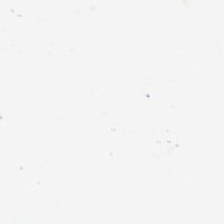H&E. Histology — no tissue.
